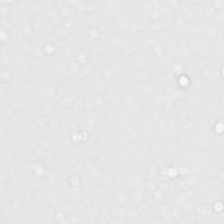H&E; WSI patch.
Q: What is shown here?
A: This is background (no tissue).
